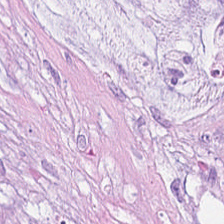Hematoxylin and eosin. 0.5 µm/px.
{"tissue_type": "mucin"}
